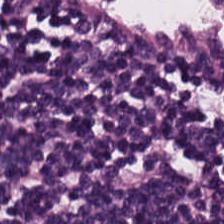H&E stain. The tissue here is lymphocytic infiltrate.
